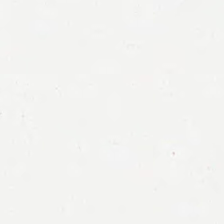Stain: H&E stain.
Preparation: FFPE tissue section.
Classification: background.
